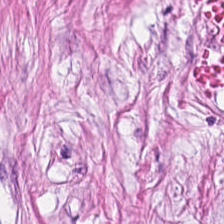224×224 pixel tile. H&E stain. 0.5 microns per pixel.
Finding — desmoplastic stroma.
